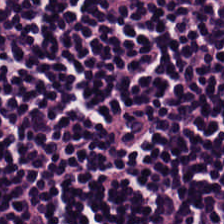Showing lymphocytic infiltrate.
